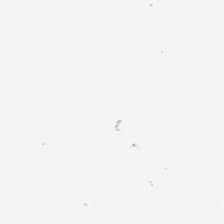This patch shows background (no tissue).
